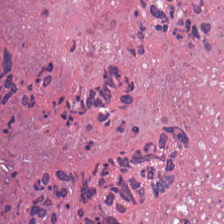H&E-stained tissue section.
Tissue type: debris.
